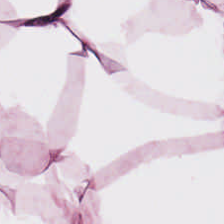Tissue: adipose.
